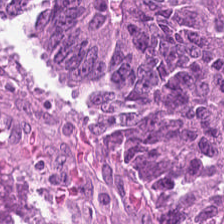WSI patch. H&E stain. Q: What does this patch show?
A: It is malignant epithelium.
